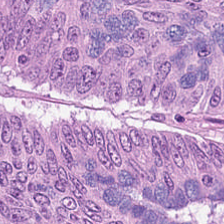H&E-stained tissue section; FFPE tissue section.
The tissue is malignant epithelium.
